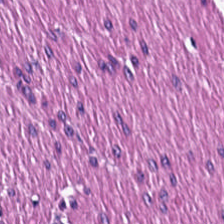H&E. Showing smooth muscle.
